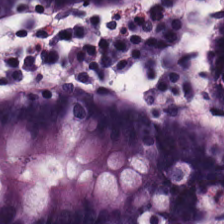224×224 px patch. FFPE tissue section. H&E-stained tissue section. The tissue type is non-neoplastic colon mucosa.
